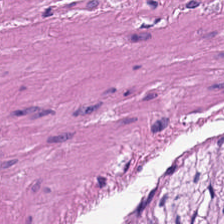H&E-stained tissue section. Q: Identify the tissue.
A: This is smooth muscle.
